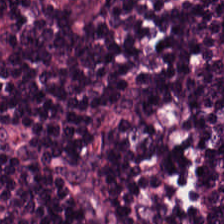Brightfield. Hematoxylin and eosin. The tissue here is lymphocytes.
